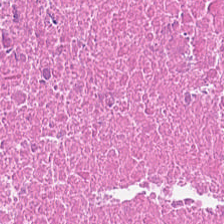This field is necrotic debris.
